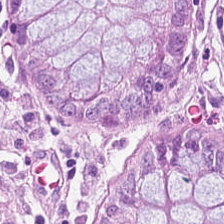Stain: H&E.
Tissue: non-neoplastic colon mucosa.
